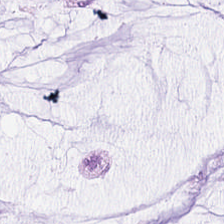Q: What is shown here?
A: It is extracellular mucin.
